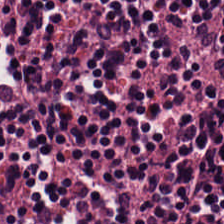Stain: hematoxylin and eosin.
Preparation: formalin-fixed paraffin-embedded section.
Tile size: 224×224 px patch.
Tissue: lymphocytes.
